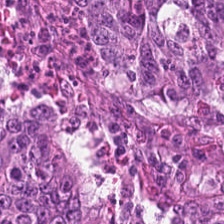H&E-stained tissue section.
Colorectal adenocarcinoma epithelium.
